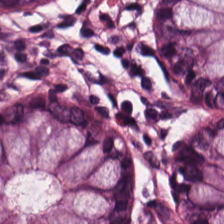Whole-slide-image patch · FFPE tissue section · H&E stain — Finding → non-neoplastic colon mucosa.
